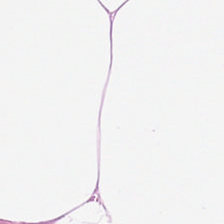H&E-stained tissue section — Predominant tissue = adipose tissue.
